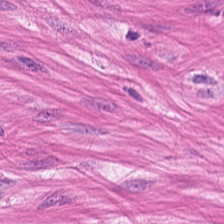0.5 microns per pixel; 224×224 px tile; H&E stain.
Showing smooth-muscle tissue.
